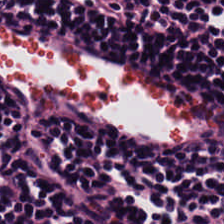224×224 pixel tile. WSI patch. H&E stain — Q: What tissue is shown?
A: Lymphocytic infiltrate.
